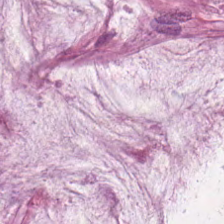Stain: hematoxylin and eosin.
Tissue class: mucin.
